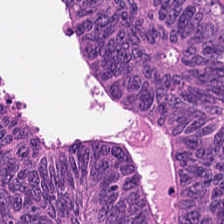H&E stain — Q: What is shown here?
A: Colorectal adenocarcinoma epithelium.
